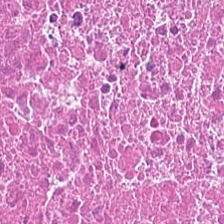Stain: H&E.
Tissue: debris.
